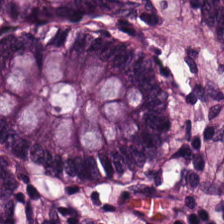Hematoxylin and eosin — {"tissue_type": "benign colonic mucosa"}
